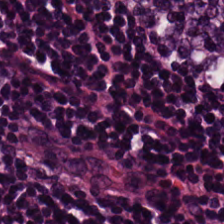H&E stain. 0.5 microns per pixel.
Tissue: lymphocyte aggregate.
